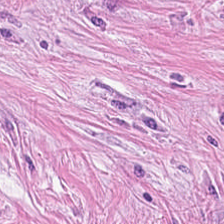H&E stain. Tissue class = desmoplastic stroma.
